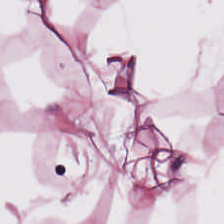Whole-slide-image patch · 0.5 µm per pixel · H&E. Showing adipocytes.
